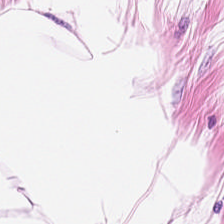Q: What does this patch show?
A: Adipose.
